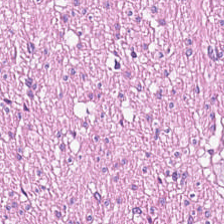Hematoxylin-and-eosin stained section.
Tissue class = smooth-muscle tissue.
